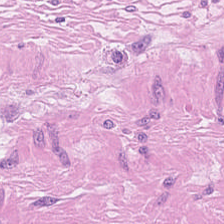H&E-stained section; the field shows muscularis.
